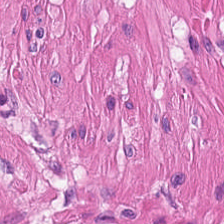Hematoxylin and eosin; 0.5 µm per pixel — Showing smooth muscle.
